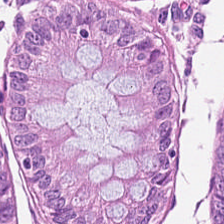H&E; 224×224 px tile; 0.5 µm per pixel — Q: What tissue type is shown here?
A: This is non-neoplastic colon mucosa.
